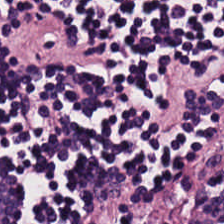Hematoxylin-and-eosin stained section.
The predominant tissue is lymphocyte aggregate.
